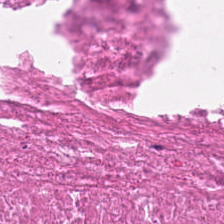Hematoxylin and eosin.
Finding — necrotic debris.
